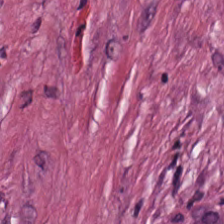Stain: hematoxylin-and-eosin stained section.
Acquisition: brightfield microscopy.
Tile size: 224×224 px tile.
Classification: tumor stroma.
